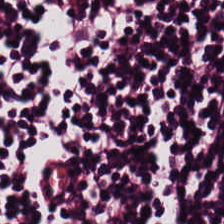Formalin-fixed paraffin-embedded section · H&E stain. The predominant tissue is lymphoid infiltrate.
